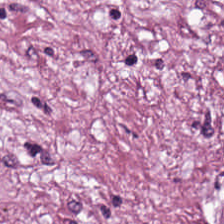H&E.
This patch shows cancer-associated stroma.
